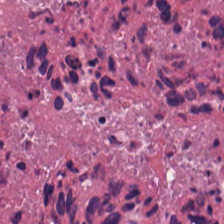0.5 µm/px. H&E stain — The tissue is necrotic debris.
